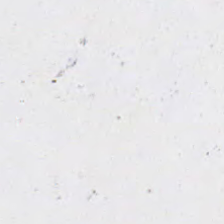Hematoxylin-and-eosin stained section; 0.5 µm/px; 224×224 px tile — No tissue present; background only.
